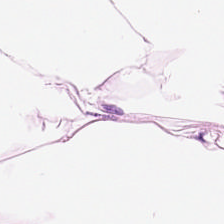Formalin-fixed paraffin-embedded section; H&E; 0.5 µm per pixel — Predominant tissue — adipocytes.
